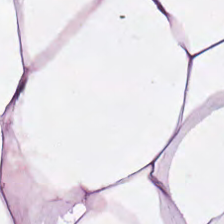Stain: hematoxylin and eosin.
Tile size: 224×224 px tile.
Resolution: 0.5 µm/px.
Tissue: fat tissue.
